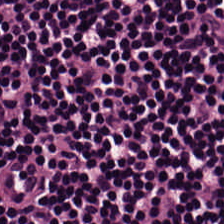FFPE. 0.5 µm/px. Hematoxylin and eosin.
Tissue type — lymphoid infiltrate.
